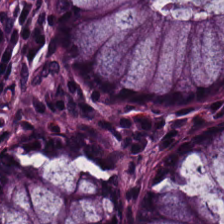Showing normal colon mucosa.
